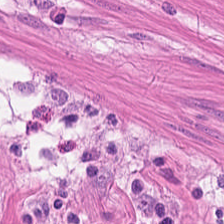Hematoxylin-and-eosin stained section — Predominantly muscularis.
